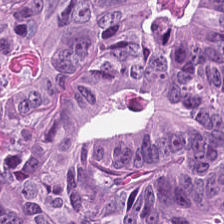H&E stain; 0.5 µm/px.
The tissue is adenocarcinoma.
